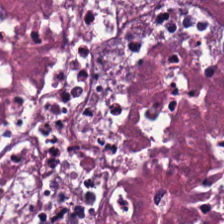H&E-stained tissue section. Necrotic debris.
